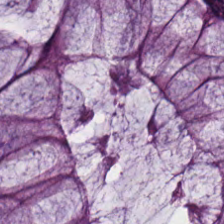FFPE tissue section · 224×224 px tile · H&E. The predominant tissue is non-neoplastic colon mucosa.
